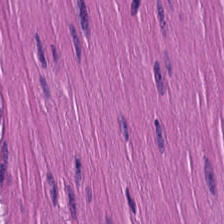H&E stain; 224×224 px patch; 0.5 µm/px. Q: What is shown in this field?
A: Smooth-muscle tissue.
